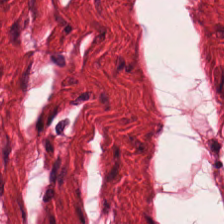Q: What tissue type is shown here?
A: Smooth muscle.
